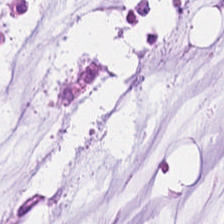H&E-stained tissue section — The tissue here is mucin.
